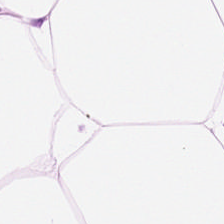Stain: hematoxylin and eosin.
Resolution: 20× equivalent magnification.
Tile size: 224×224 pixel tile.
Tissue: adipocytes.
